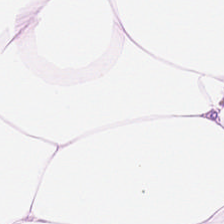{"tissue_type": "fat tissue"}
